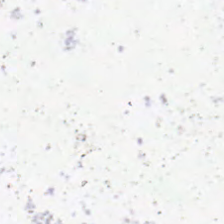Brightfield; 224×224 px patch; hematoxylin-and-eosin stained section.
No tissue present; background only.
